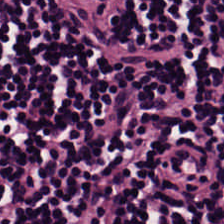Tissue type — lymphocytes.
